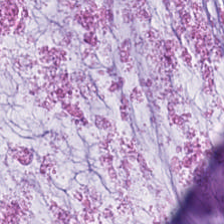Stain: H&E.
Tissue: mucus.
